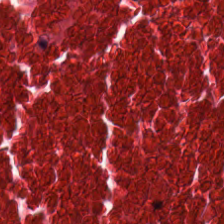Hematoxylin-and-eosin stained section — Q: What type of tissue is this?
A: This is debris.
